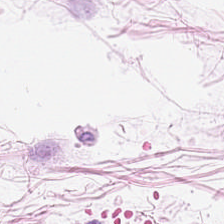Hematoxylin-and-eosin stained section.
This field is adipose tissue.
